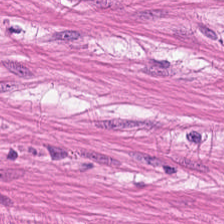FFPE. 224×224 pixel tile. Hematoxylin and eosin.
Tissue type — muscularis.
